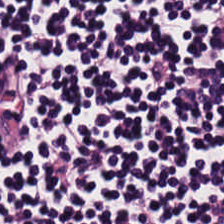Stain: H&E stain.
Tissue type: lymphocytic infiltrate.
